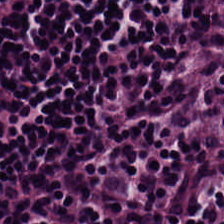Tissue — lymphocytes.
